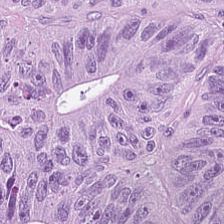H&E.
{"tissue_type": "colorectal adenocarcinoma epithelium"}
